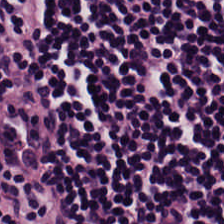Hematoxylin and eosin. Q: What tissue type is shown here?
A: The field shows lymphocytic infiltrate.
